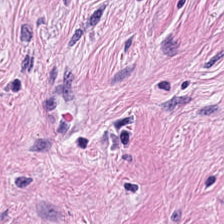{"tissue_type": "cancer-associated stroma"}
